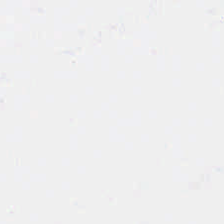Classification: empty background.
